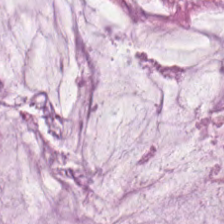H&E-stained section; the field shows mucus.
